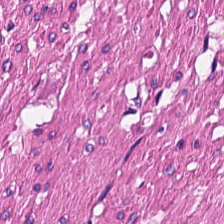H&E stain.
This patch shows smooth-muscle tissue.
